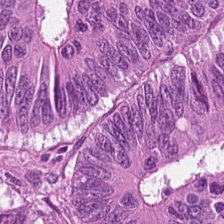H&E · 224×224 px patch. The predominant tissue is tumor epithelium.
